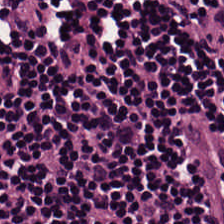Stain: H&E.
Classification: lymphocytes.
